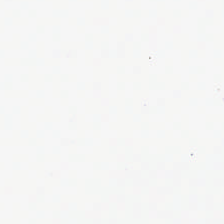H&E — Empty background.
